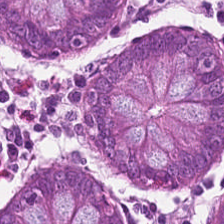Histology — normal colonic mucosa.
